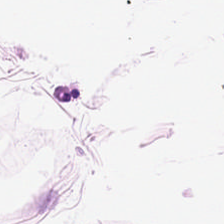H&E-stained tissue section. 20× equivalent magnification. Brightfield.
Predominantly fat tissue.
